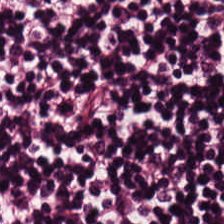WSI patch · hematoxylin and eosin.
Predominantly lymphocytes.
